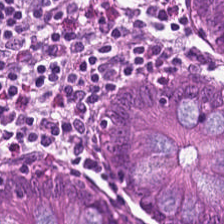Hematoxylin-and-eosin stained section — Finding — normal colonic mucosa.
